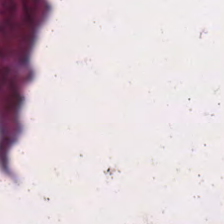224×224 px patch · H&E stain — Cellular debris.
